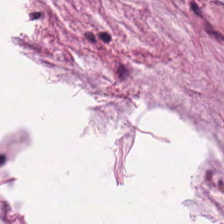The tissue type is mucus.
